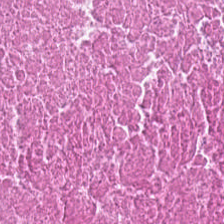H&E-stained tissue section.
Tissue type = necrotic debris.
